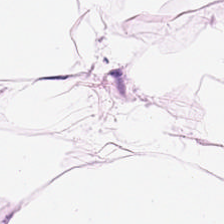H&E; brightfield. The tissue type is adipose tissue.
